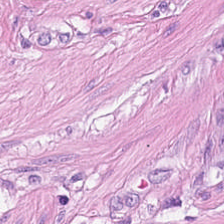H&E-stained tissue section · 0.5 µm per pixel — Smooth-muscle tissue.
